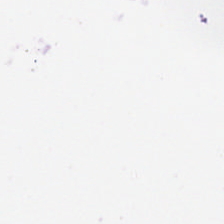Hematoxylin and eosin; FFPE tissue section. Background.
